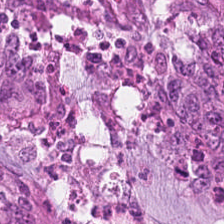H&E. Q: What is the predominant tissue type?
A: This is adenocarcinoma.
